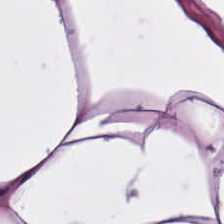Hematoxylin-and-eosin stained section.
Classification = adipose tissue.
